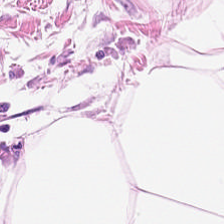Impression — adipocytes.
